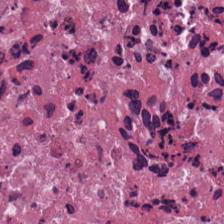H&E-stained tissue section.
Q: What is shown in this field?
A: It is cellular debris.
